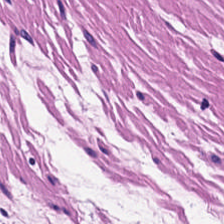H&E-stained tissue section. This field is muscularis.
